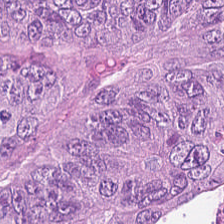H&E stain. The predominant tissue is colorectal adenocarcinoma epithelium.
